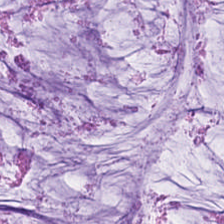Stain: hematoxylin-and-eosin stained section.
Classification: extracellular mucin.
